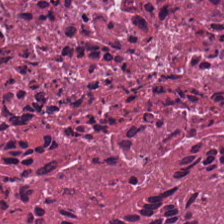Hematoxylin and eosin. Showing cellular debris.
